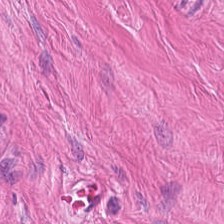FFPE · H&E. Classification — smooth-muscle tissue.
